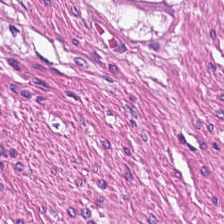Stain: H&E.
Tissue class: muscularis.
